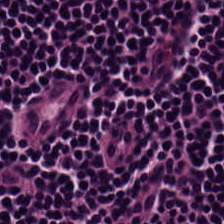H&E.
The predominant tissue is lymphocytes.
